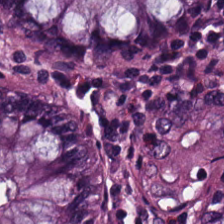Hematoxylin and eosin; formalin-fixed paraffin-embedded section; whole-slide-image patch. Q: Identify the tissue.
A: This is benign colonic mucosa.
